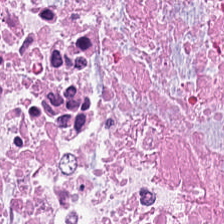H&E stain · brightfield — Showing necrotic debris.
